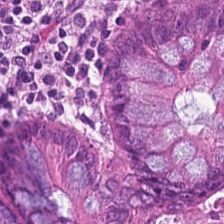Hematoxylin and eosin. Brightfield microscopy. FFPE.
The tissue here is non-neoplastic colon mucosa.
